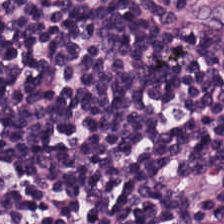Classification = lymphocyte aggregate.
